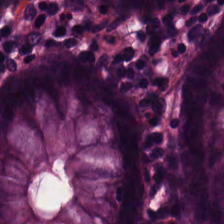H&E stain — The tissue class is normal colonic mucosa.
